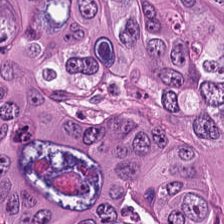0.5 microns per pixel; H&E-stained tissue section; 224×224 px tile. The predominant tissue is malignant epithelium.
